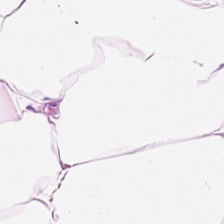H&E — Tissue: adipocytes.
